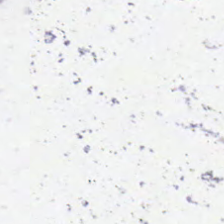Stain: H&E stain.
Content: no tissue.
